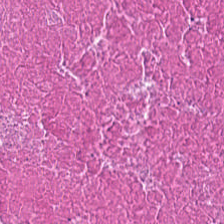Stain: hematoxylin-and-eosin stained section.
Tissue: debris.
